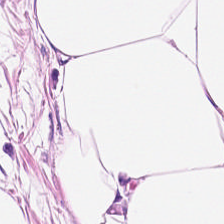H&E stain. Predominantly adipocytes.
